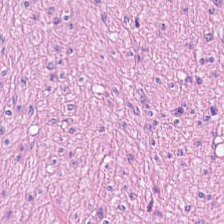FFPE tissue section; hematoxylin-and-eosin stained section.
Q: Identify the tissue.
A: Smooth-muscle tissue.
